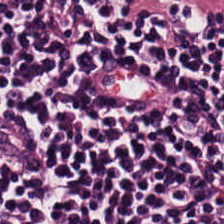H&E-stained tissue section — The tissue here is lymphocytes.
